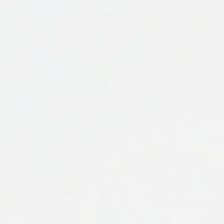Hematoxylin-and-eosin stained section. Brightfield microscopy — Empty background.
